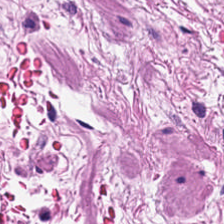Predominant tissue — muscularis.
